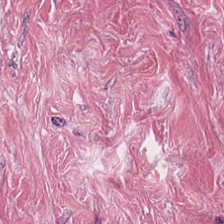Stain: hematoxylin and eosin.
Tissue class: tumor stroma.
